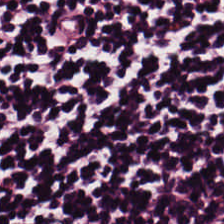Hematoxylin and eosin — Histology → lymphocyte aggregate.
